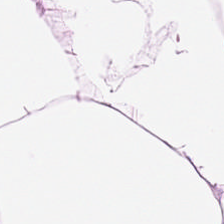H&E.
The predominant tissue is adipocytes.
